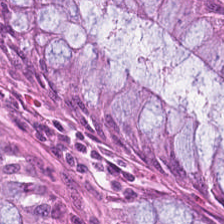Hematoxylin and eosin — This patch shows benign colonic mucosa.
